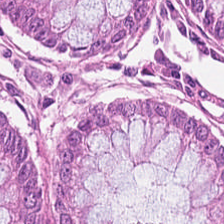Hematoxylin and eosin · 0.5 microns per pixel — Q: What tissue is shown?
A: This is normal colon mucosa.
